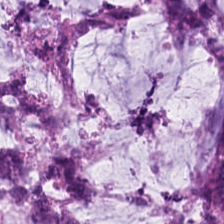H&E-stained tissue section. Tissue = mucus.
